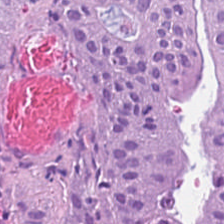H&E. Q: Identify the tissue.
A: The field shows colorectal adenocarcinoma epithelium.
